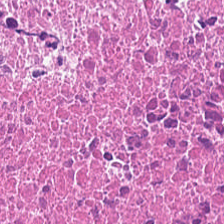Tissue class: necrotic debris.
